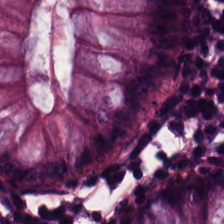H&E-stained tissue section. Tissue class: benign colonic mucosa.
